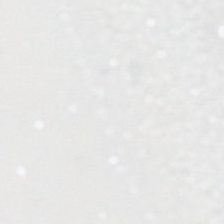Hematoxylin and eosin.
Background (no tissue).
